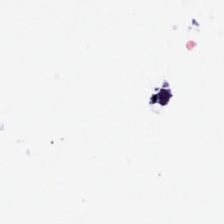20× equivalent magnification. Formalin-fixed paraffin-embedded section. H&E — No tissue present; background only.
